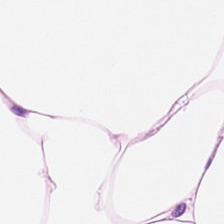0.5 µm per pixel; hematoxylin-and-eosin stained section; WSI patch — Fat tissue.
